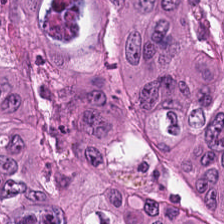H&E patch showing adenocarcinoma.
